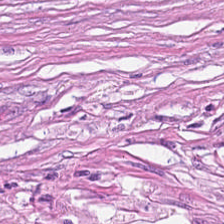H&E stain. Predominant tissue — desmoplastic stroma.
